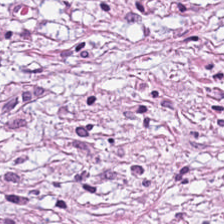H&E. Brightfield. 0.5 microns per pixel — Predominantly cancer-associated stroma.
